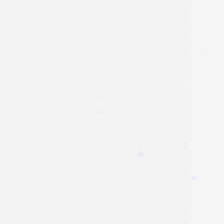Stain: H&E stain.
Acquisition: whole-slide-image patch.
Resolution: 0.5 µm/px.
Field content: background (no tissue).
